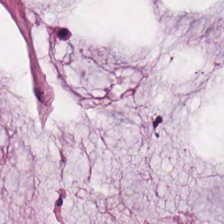H&E-stained tissue section · 224×224 px tile · brightfield microscopy.
The tissue type is extracellular mucin.
